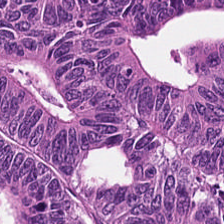Showing adenocarcinoma.
